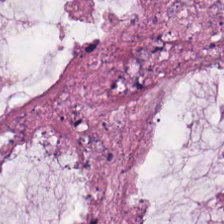FFPE. WSI patch. H&E — Q: Identify the tissue.
A: The field shows mucus.
